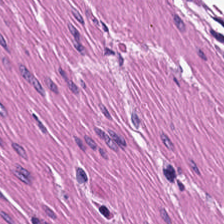Hematoxylin-and-eosin section: smooth-muscle tissue.
